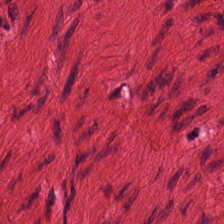H&E-stained tissue section. This field is smooth muscle.
